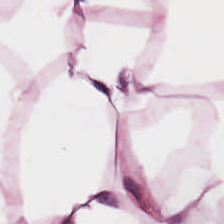H&E. Showing adipocytes.
